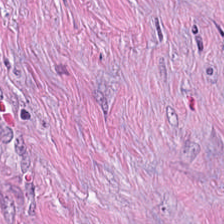FFPE · H&E.
Predominantly tumor stroma.
